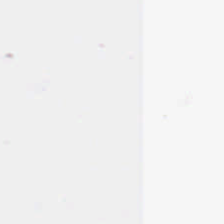224×224 pixel tile · H&E stain.
Background — no tissue in this field.
